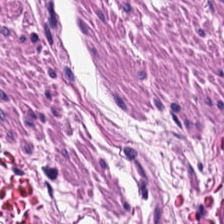H&E.
{"tissue_type": "smooth-muscle tissue"}
